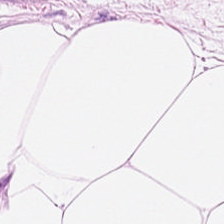Hematoxylin and eosin.
The predominant tissue is adipocytes.
